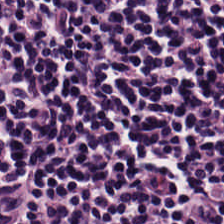Hematoxylin-and-eosin stained section. Q: What is the predominant tissue type?
A: This is lymphocytic infiltrate.
